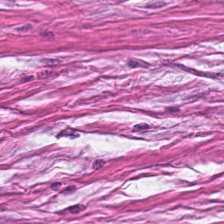H&E-stained tissue section · FFPE tissue section.
Showing desmoplastic stroma.
